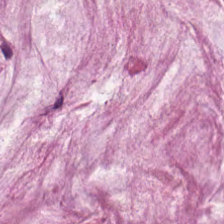H&E stain.
Tissue type = mucin.
